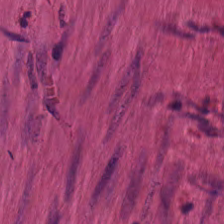20× equivalent magnification; WSI patch; hematoxylin-and-eosin stained section — Muscularis.
